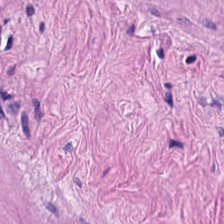Stain: hematoxylin-and-eosin stained section.
Tissue class: smooth-muscle tissue.
